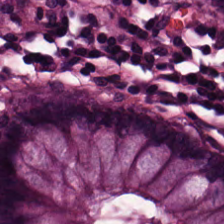H&E-stained tissue section · FFPE tissue section. The tissue here is normal colonic mucosa.
